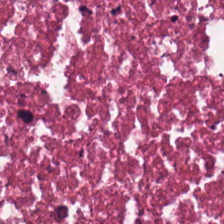WSI patch. H&E.
Showing debris.
